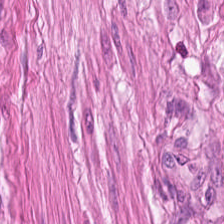H&E-stained tissue section. Histology → muscularis.
